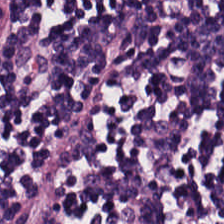H&E stain · WSI patch.
Predominantly lymphoid infiltrate.
